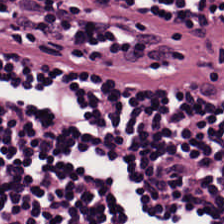Stain: hematoxylin and eosin.
Classification: lymphoid infiltrate.
